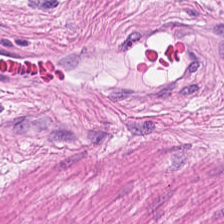H&E-stained tissue section. 224×224 pixel tile — Classification — smooth muscle.
